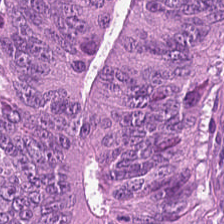Stain: H&E-stained tissue section.
Tissue type: colorectal adenocarcinoma epithelium.
